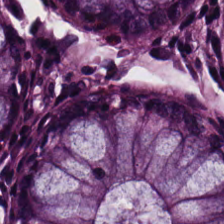Q: What is shown here?
A: Benign colonic mucosa.
